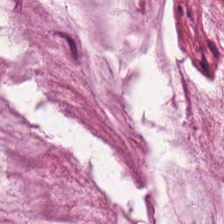H&E; 0.5 microns per pixel; FFPE tissue section — The predominant tissue is mucin.
